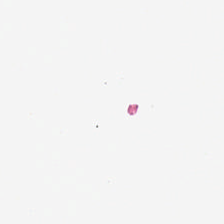Hematoxylin and eosin. Classification: empty background.
